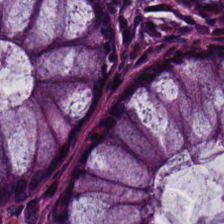H&E.
This field is benign colonic mucosa.
